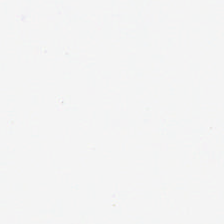H&E-stained tissue section. The field content is empty background.
